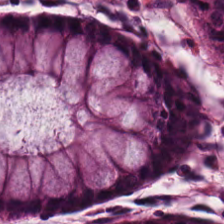Tissue class: non-neoplastic colon mucosa.
